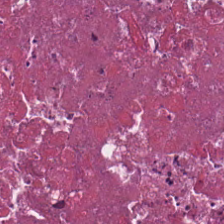Hematoxylin and eosin · FFPE — Predominantly cellular debris.
